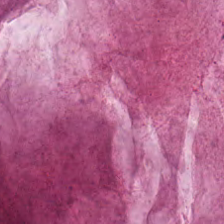Predominantly extracellular mucin.
